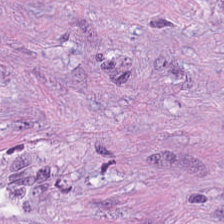Hematoxylin-and-eosin stained section.
This field is tumor stroma.
